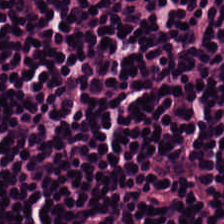H&E-stained tissue section. This patch shows lymphocyte aggregate.
